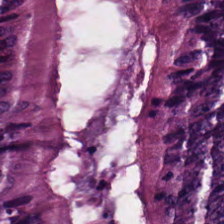Hematoxylin and eosin. Predominantly adenocarcinoma.
